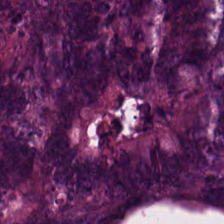Stain: H&E.
Predominant tissue: adenocarcinoma.
